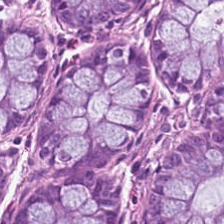H&E-stained tissue section.
The tissue is normal colon mucosa.
